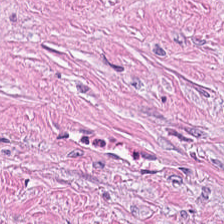Hematoxylin-and-eosin section: tumor stroma.
